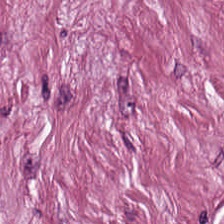Brightfield · H&E-stained tissue section.
Histology — cancer-associated stroma.
